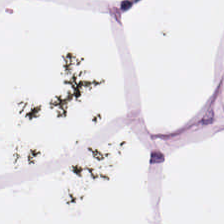FFPE tissue section. Brightfield microscopy. Hematoxylin-and-eosin stained section.
Adipose tissue.
